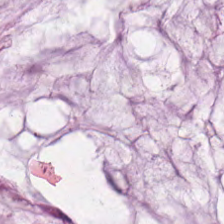Mucin.
